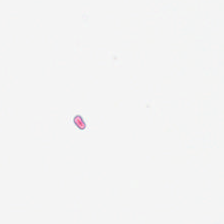Content: no tissue.
